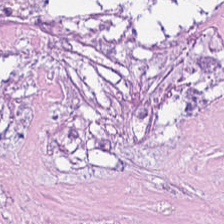H&E-stained tissue section.
The predominant tissue is necrotic debris.
